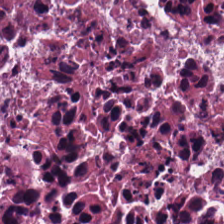Hematoxylin-and-eosin stained section.
{"tissue_type": "cellular debris"}
